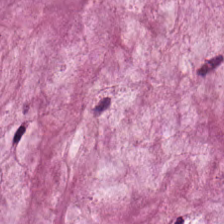Formalin-fixed paraffin-embedded section; hematoxylin-and-eosin stained section. Extracellular mucin.
